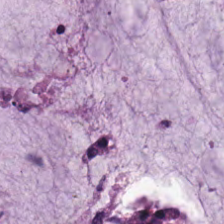H&E-stained tissue section. Q: What is shown in this field?
A: This is mucus.
